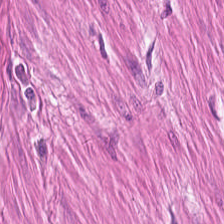0.5 µm per pixel; H&E. Muscularis.
